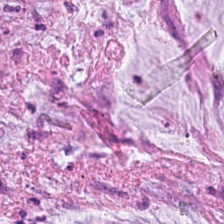H&E-stained tissue section.
Showing mucin.
